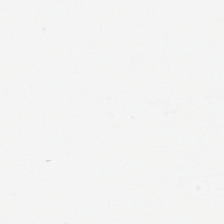Q: What is shown in this field?
A: This is empty background.
